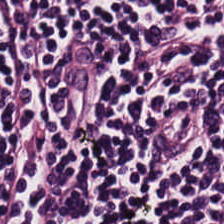Tissue class: lymphocytes.
